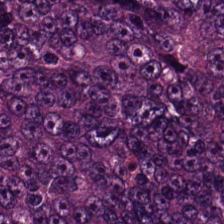Whole-slide-image patch; H&E; 20× equivalent magnification. Showing colorectal adenocarcinoma epithelium.
